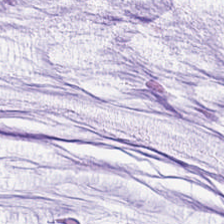Stain: hematoxylin-and-eosin stained section.
Tile size: 224×224 px patch.
Tissue type: extracellular mucin.
